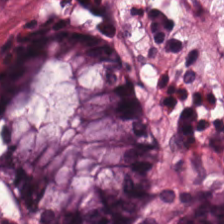H&E-stained tissue section showing normal colon mucosa.
